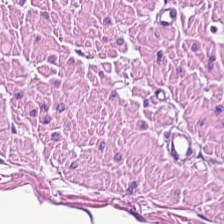H&E — Classification: muscularis.
